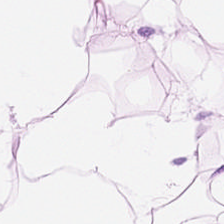FFPE. Hematoxylin and eosin.
The classification is adipocytes.
